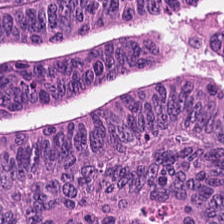Hematoxylin and eosin — Histology → tumor epithelium.
